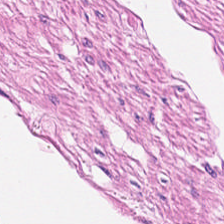H&E stain. Impression → smooth-muscle tissue.
